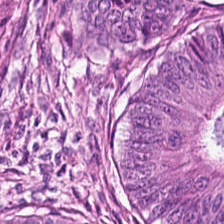20× equivalent magnification; H&E-stained tissue section. Histology → adenocarcinoma.
